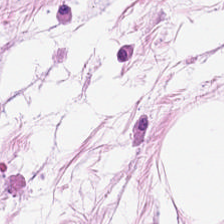H&E stain — The predominant tissue is adipose.
